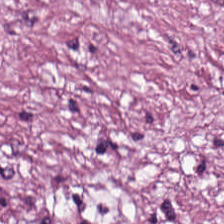H&E. Q: Classify this patch.
A: Cancer-associated stroma.
